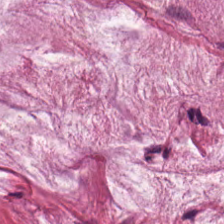Stain: H&E stain.
Predominant tissue: extracellular mucin.
